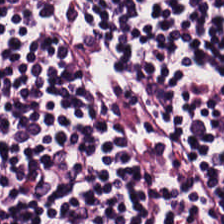Predominantly lymphocytes.
